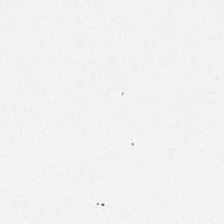Stain: hematoxylin-and-eosin stained section.
Classification: background (no tissue).
